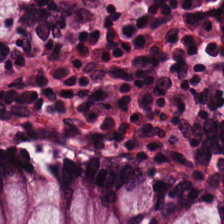Q: What type of tissue is this?
A: This is normal colonic mucosa.
